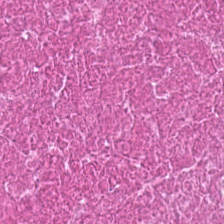H&E-stained tissue section — Showing necrotic debris.
